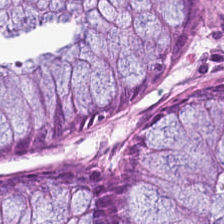224×224 pixel tile; hematoxylin and eosin; whole-slide-image patch.
Q: What tissue type is shown here?
A: It is normal colonic mucosa.
